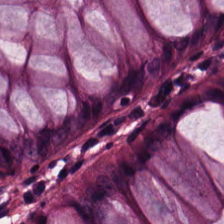Hematoxylin and eosin. Tissue class: benign colonic mucosa.
